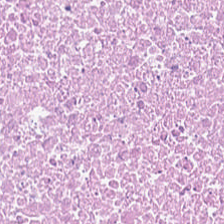224×224 px tile; hematoxylin-and-eosin stained section.
Predominantly debris.
